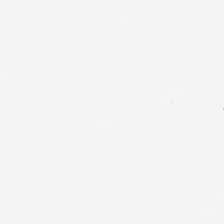Hematoxylin-and-eosin stained section — Histology → background (no tissue).
